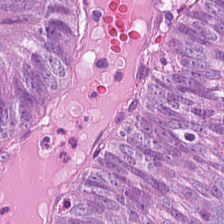Hematoxylin and eosin. WSI patch. 0.5 microns per pixel.
Q: Classify this patch.
A: This is colorectal adenocarcinoma.
